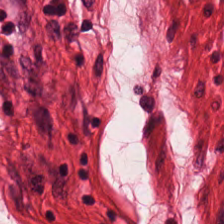H&E stain · 0.5 µm per pixel · WSI patch — This patch shows muscularis.
